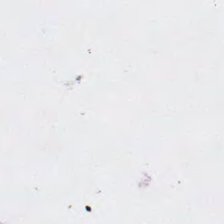Stain: H&E-stained tissue section.
Tile size: 224×224 px patch.
Preparation: FFPE tissue section.
Field content: empty background.
